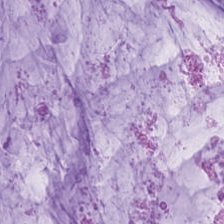Mucus.
